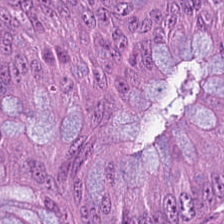Stain: H&E.
Tissue class: colorectal adenocarcinoma epithelium.
